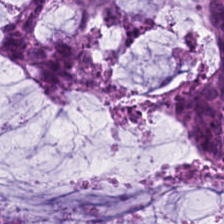WSI patch · H&E-stained tissue section — Impression — mucin.
